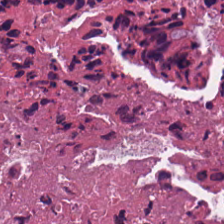Stain: hematoxylin and eosin.
Tissue type: necrotic debris.
